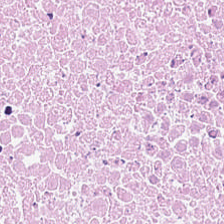Stain: H&E stain.
Tissue: necrotic debris.
